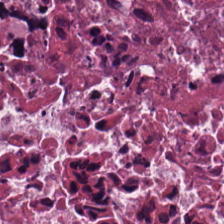Hematoxylin and eosin. Q: What is the predominant tissue type?
A: It is debris.
